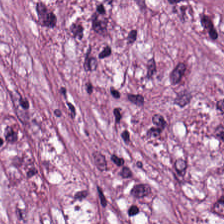224×224 pixel tile. Brightfield. H&E.
Tumor stroma.
